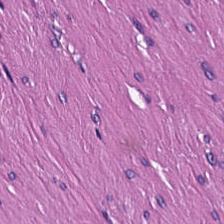The predominant tissue is smooth-muscle tissue.
